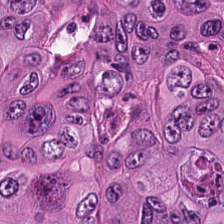Hematoxylin and eosin. The tissue here is adenocarcinoma.
